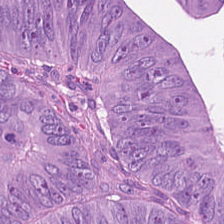H&E-stained tissue section; FFPE.
Classification — tumor epithelium.
